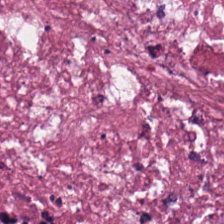Stain: hematoxylin and eosin.
Acquisition: brightfield microscopy.
Tissue: necrotic debris.
